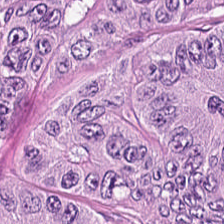Hematoxylin-and-eosin stained section. 20× equivalent magnification — Q: What does this patch show?
A: The field shows adenocarcinoma.
